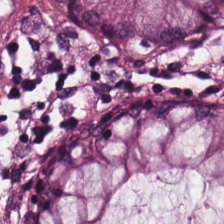H&E stain · 224×224 px tile. Normal colonic mucosa.
